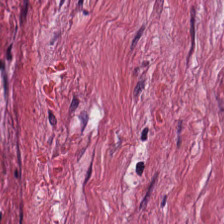224×224 px tile · H&E-stained tissue section · formalin-fixed paraffin-embedded section. This field is tumor-associated stroma.
